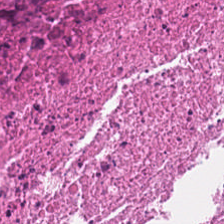H&E stain — This patch shows debris.
